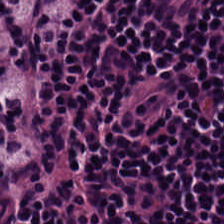FFPE tissue section. H&E stain.
Q: What tissue type is shown here?
A: This is lymphocyte aggregate.
